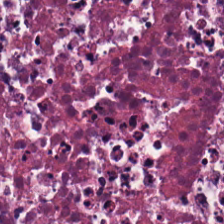Tissue class: necrotic debris.
